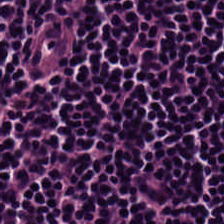H&E-stained tissue section. Q: What is the predominant tissue type?
A: This is lymphocyte aggregate.
